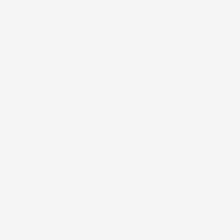H&E-stained tissue section.
Background — no tissue in this field.
